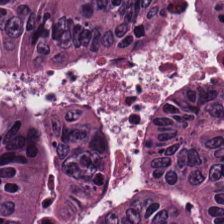Stain: H&E.
Tissue: adenocarcinoma.
